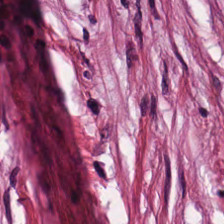Brightfield microscopy · H&E-stained tissue section — Impression → tumor stroma.
